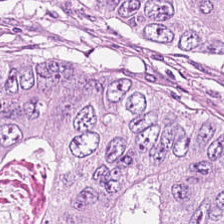Predominant tissue — tumor epithelium.
